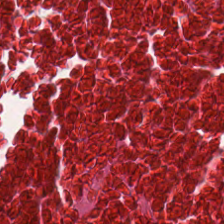224×224 px tile. H&E.
Cellular debris.
